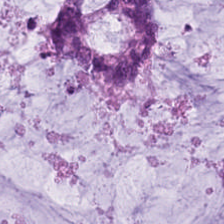This field is mucus.
